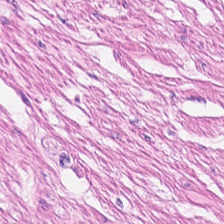Hematoxylin and eosin — Predominantly smooth muscle.
